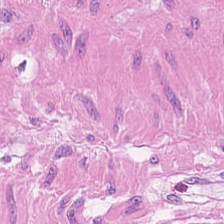Hematoxylin and eosin.
{"tissue_type": "smooth muscle"}
